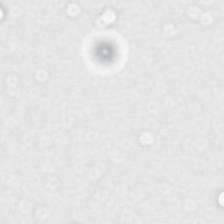{"content": "empty background"}
